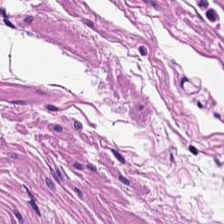H&E-stained tissue section; WSI patch — Classification: muscularis.
